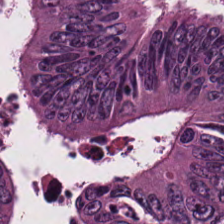H&E; 224×224 pixel tile. Colorectal adenocarcinoma epithelium.
